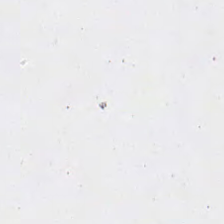This patch shows no tissue.
